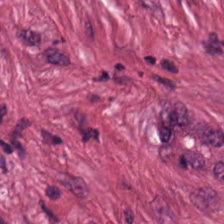Brightfield microscopy; H&E; 224×224 pixel tile — Q: Identify the tissue.
A: This is desmoplastic stroma.
